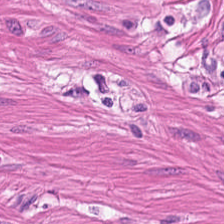Histology — smooth-muscle tissue.
